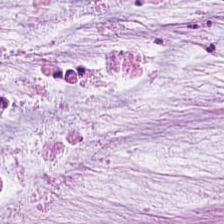H&E-stained tissue section · brightfield microscopy · 0.5 µm/px.
Predominant tissue: mucus.
